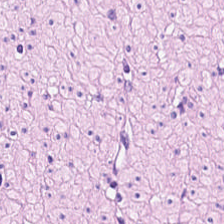H&E.
Q: What tissue type is shown here?
A: It is smooth muscle.
